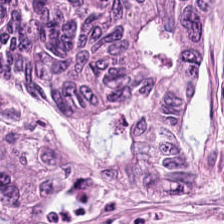224×224 px patch · H&E · 0.5 µm/px. This patch shows malignant epithelium.
